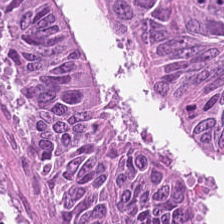Hematoxylin and eosin; 224×224 px tile.
Adenocarcinoma.
